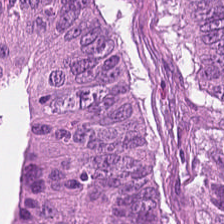Stain: hematoxylin-and-eosin stained section.
Predominant tissue: malignant epithelium.
